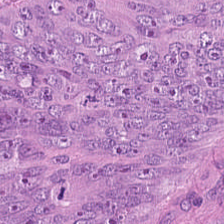Hematoxylin-and-eosin stained section. The predominant tissue is adenocarcinoma.
